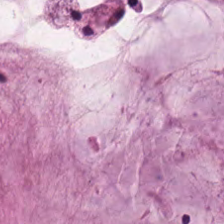Stain: hematoxylin-and-eosin stained section.
Resolution: 0.5 microns per pixel.
Classification: mucin.
